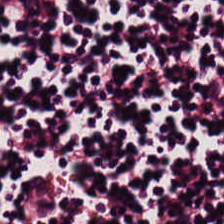Q: Identify the tissue.
A: Lymphocytic infiltrate.
